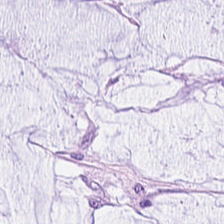H&E stain — Tissue type: mucus.
